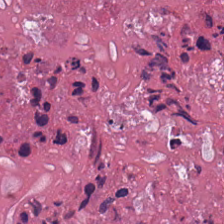H&E stain. FFPE.
Classification — necrotic debris.
